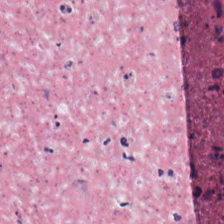H&E.
Tissue type: debris.
